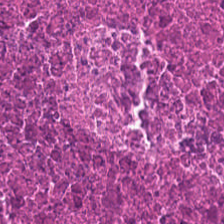Finding → necrotic debris.
